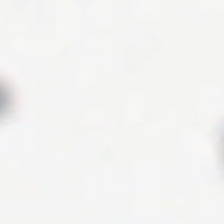Hematoxylin and eosin. Empty field — background.
